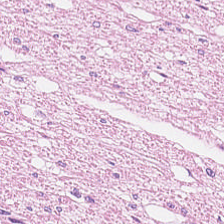H&E stain; formalin-fixed paraffin-embedded section. Finding — smooth-muscle tissue.
